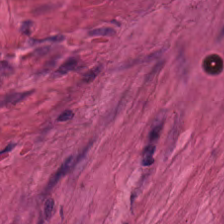H&E stain — Muscularis.
